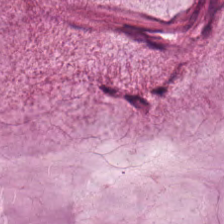Hematoxylin and eosin. Whole-slide-image patch. {"tissue_type": "mucin"}
